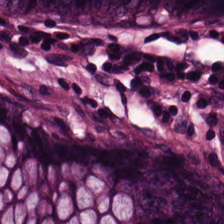0.5 µm/px. Hematoxylin-and-eosin stained section.
Q: What tissue type is shown here?
A: The field shows benign colonic mucosa.
